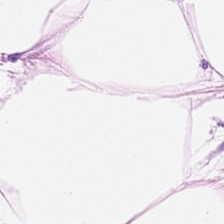Showing fat tissue.
